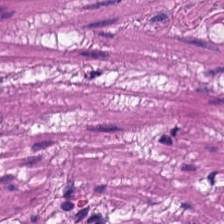Stain: H&E stain.
Resolution: 0.5 µm per pixel.
Tissue class: smooth muscle.
